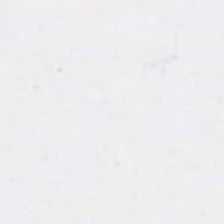Hematoxylin-and-eosin stained section; 0.5 microns per pixel; 224×224 pixel tile — The classification is background (no tissue).
